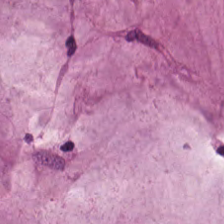H&E patch showing extracellular mucin.
